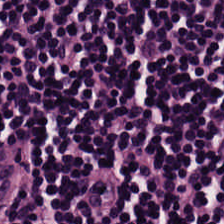Q: What tissue is shown?
A: The field shows lymphoid infiltrate.
